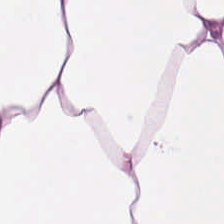Hematoxylin and eosin · 224×224 px tile. Predominantly adipose tissue.
